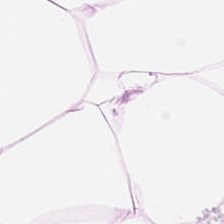H&E stain. Histology — adipose tissue.
